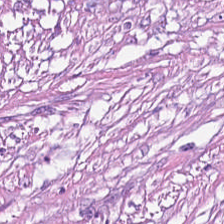H&E stain. Histology → tumor stroma.
